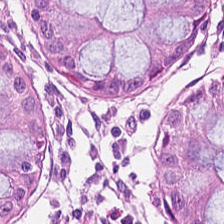H&E stain.
Q: What is the predominant tissue type?
A: It is normal colon mucosa.
